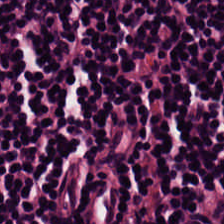Brightfield microscopy. H&E.
Showing lymphocytic infiltrate.
